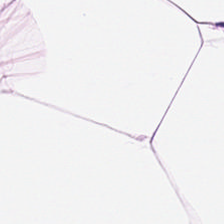224×224 px patch; WSI patch; H&E-stained tissue section.
Q: Identify the tissue.
A: The field shows adipocytes.
